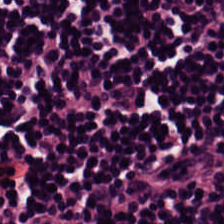H&E.
This patch shows lymphocytes.
